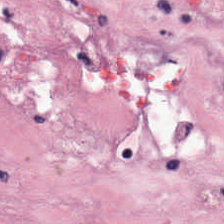224×224 pixel tile; 0.5 microns per pixel; H&E-stained tissue section.
The tissue here is cancer-associated stroma.
